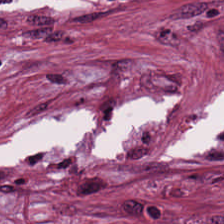FFPE; H&E — Tissue: tumor-associated stroma.
